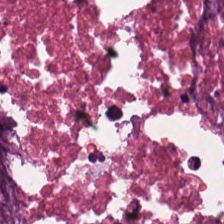Hematoxylin and eosin.
Finding → cellular debris.
